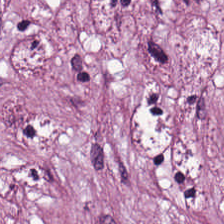H&E-stained section; the field shows desmoplastic stroma.
